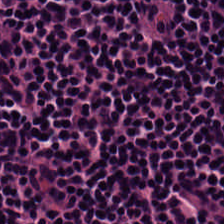{"tissue_type": "lymphocytic infiltrate"}
